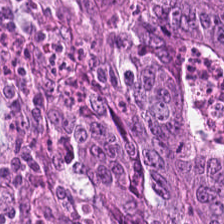Hematoxylin and eosin · formalin-fixed paraffin-embedded section. The predominant tissue is colorectal adenocarcinoma epithelium.
